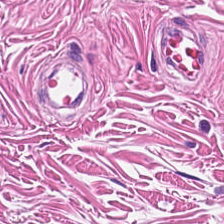Stain: hematoxylin-and-eosin stained section.
Tissue class: smooth-muscle tissue.
